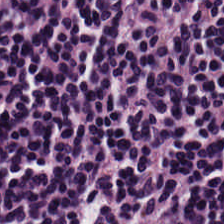Hematoxylin and eosin — Q: What is shown in this field?
A: Lymphocyte aggregate.
